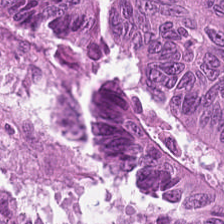Hematoxylin-and-eosin stained section. The predominant tissue is malignant epithelium.
